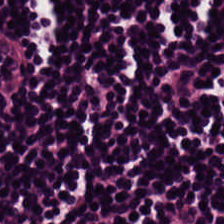H&E-stained tissue section.
Tissue: lymphocyte aggregate.
